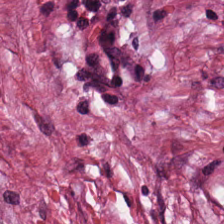Hematoxylin-and-eosin stained section.
The predominant tissue is cancer-associated stroma.
